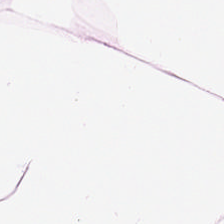Hematoxylin and eosin — Tissue = adipocytes.
